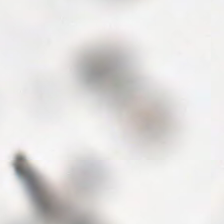Stain: H&E-stained tissue section.
Field content: empty background.
